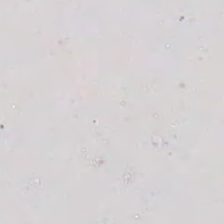Stain: hematoxylin and eosin.
Content: background (no tissue).
